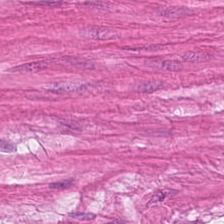This field is smooth-muscle tissue.
